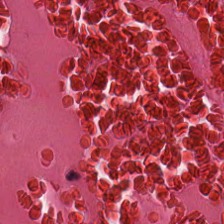H&E. Necrotic debris.
